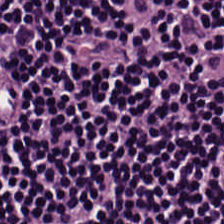Hematoxylin and eosin.
{"tissue_type": "lymphocyte aggregate"}
